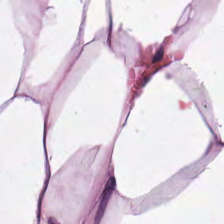0.5 microns per pixel. Hematoxylin and eosin.
Q: What is the predominant tissue type?
A: This is adipose.
